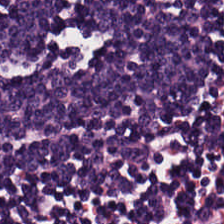H&E-stained tissue section. Predominantly lymphoid infiltrate.
